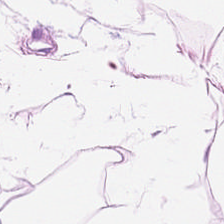H&E stain · brightfield — Predominant tissue: adipose tissue.
